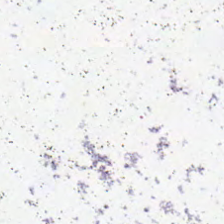Formalin-fixed paraffin-embedded section · H&E stain. Q: What does this patch show?
A: It is background.
